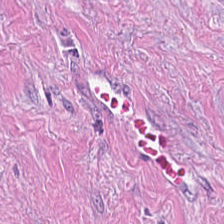Stain: H&E-stained tissue section.
Classification: desmoplastic stroma.
